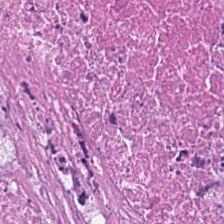Impression → cellular debris.
